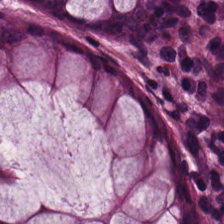H&E-stained tissue section; 224×224 px tile; whole-slide-image patch. Finding → normal colonic mucosa.
